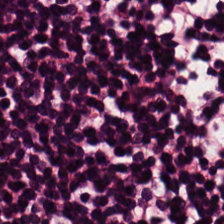WSI patch · 0.5 µm per pixel · H&E. Histology → lymphocyte aggregate.
